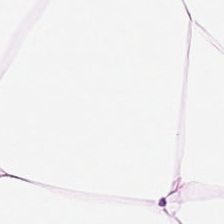20× equivalent magnification · H&E-stained tissue section — Q: What does this patch show?
A: It is adipose tissue.
